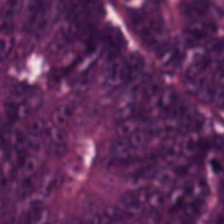The predominant tissue is tumor epithelium.
